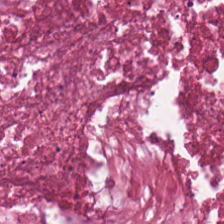H&E-stained tissue section showing debris.
